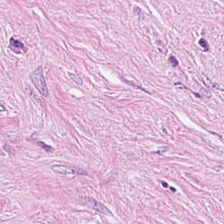Hematoxylin and eosin. Brightfield microscopy.
Desmoplastic stroma.
